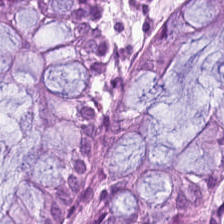H&E-stained tissue section. Q: What tissue type is shown here?
A: It is non-neoplastic colon mucosa.
